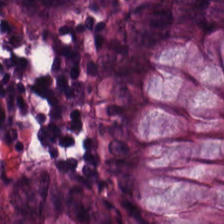Non-neoplastic colon mucosa.
